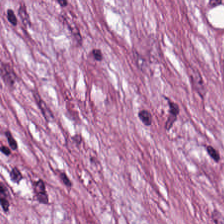H&E-stained tissue section. Q: What type of tissue is this?
A: It is desmoplastic stroma.
